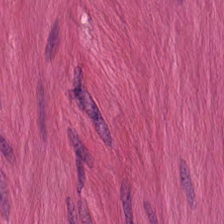Stain: hematoxylin and eosin.
Classification: muscularis.
